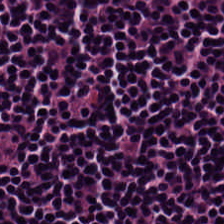H&E; 0.5 µm/px — Lymphocyte aggregate.
